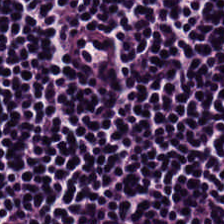Predominant tissue: lymphocytes.
